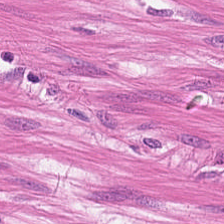H&E stain. Tissue type — smooth muscle.
